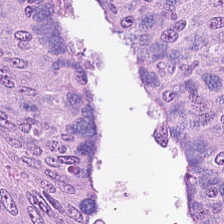H&E-stained tissue section; 224×224 pixel tile.
Colorectal adenocarcinoma.
